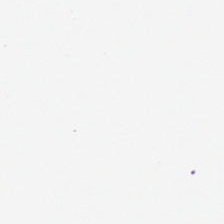Whole-slide-image patch; hematoxylin and eosin. The classification is empty background.
